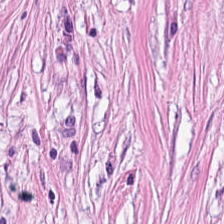WSI patch; H&E-stained tissue section.
Tissue = cancer-associated stroma.
